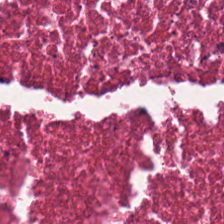H&E.
Q: What tissue type is shown here?
A: This is cellular debris.
